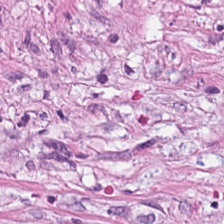Finding → desmoplastic stroma.
